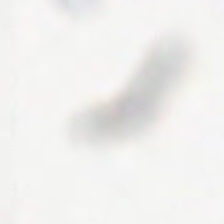Stain: hematoxylin and eosin.
Field content: background (no tissue).
